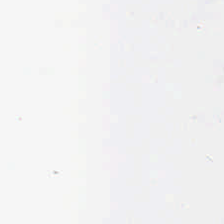H&E. FFPE. Classification: background (no tissue).
